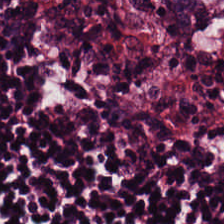H&E stain — Classification: lymphocyte aggregate.
